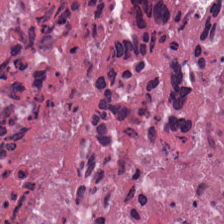Hematoxylin and eosin — The tissue here is cellular debris.
